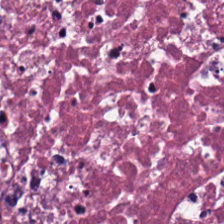H&E. This field is debris.
